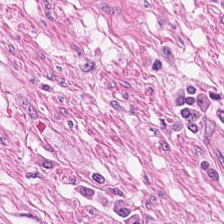H&E-stained tissue section. Tissue class = muscularis.
